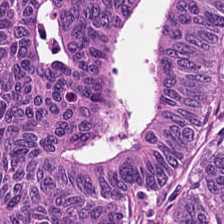H&E. Q: What is shown here?
A: The field shows adenocarcinoma.
